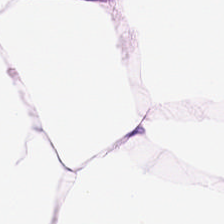H&E stain. 0.5 microns per pixel — Predominant tissue — adipocytes.
